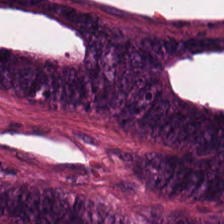H&E-stained tissue section. WSI patch. Formalin-fixed paraffin-embedded section — Tissue class = malignant epithelium.
